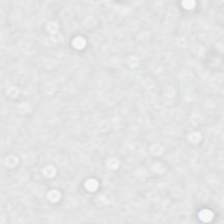H&E stain.
Finding — background.
